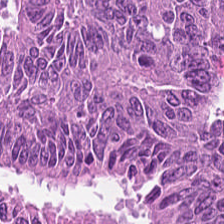0.5 µm per pixel. H&E-stained tissue section — Showing colorectal adenocarcinoma.
